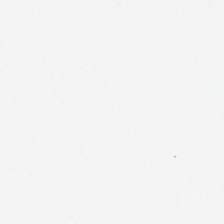Classification = background.
